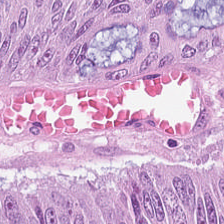H&E; FFPE. This field is malignant epithelium.
